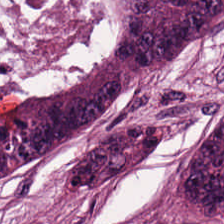Hematoxylin and eosin.
Tissue = colorectal adenocarcinoma.
